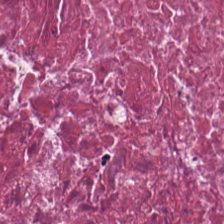20× equivalent magnification. H&E stain.
Impression → debris.
